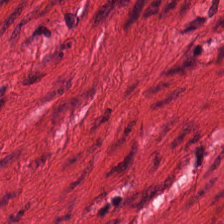Stain: H&E.
Acquisition: WSI patch.
Resolution: 0.5 microns per pixel.
Tissue class: muscularis.
